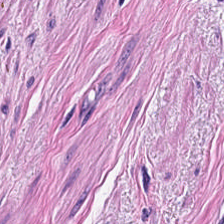20× equivalent magnification; whole-slide-image patch; H&E-stained tissue section.
This field is smooth-muscle tissue.
